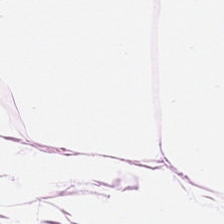Stain: H&E-stained tissue section.
Resolution: 0.5 µm per pixel.
Tissue: fat tissue.
